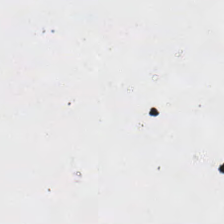0.5 microns per pixel · H&E — Classification — background (no tissue).
